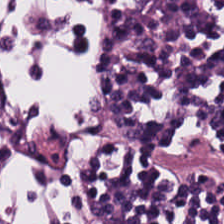Hematoxylin and eosin.
Q: What tissue is shown?
A: The field shows lymphocytes.
